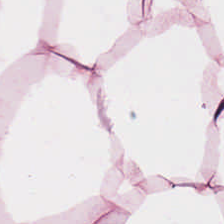H&E stain; 0.5 µm per pixel; WSI patch. Showing adipose tissue.
